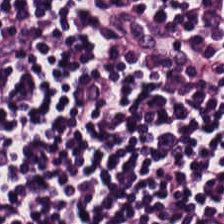Stain: hematoxylin and eosin.
Acquisition: whole-slide-image patch.
Tissue type: lymphoid infiltrate.
